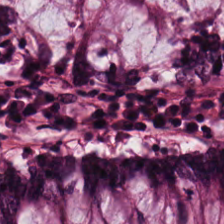Stain: hematoxylin-and-eosin stained section.
Tissue: non-neoplastic colon mucosa.
